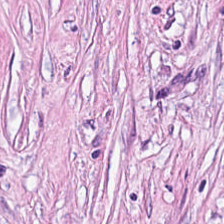H&E stain · whole-slide-image patch · 224×224 px patch — The predominant tissue is tumor stroma.
